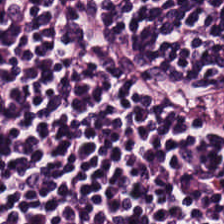Hematoxylin-and-eosin section: lymphoid infiltrate.
